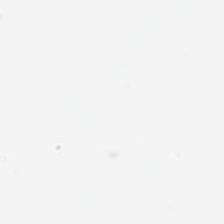Hematoxylin and eosin. Finding → background (no tissue).
